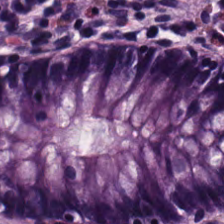224×224 px tile. 0.5 µm per pixel. H&E stain. Tissue class: benign colonic mucosa.
